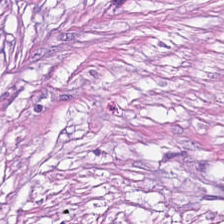Stain: H&E-stained tissue section.
Tissue class: tumor-associated stroma.
